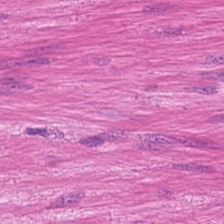Stain: H&E-stained tissue section.
Classification: smooth muscle.
